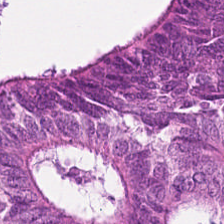Hematoxylin-and-eosin stained section. Tissue — tumor epithelium.
